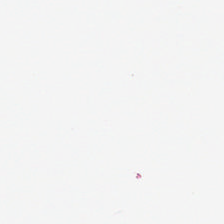H&E — This field is background (no tissue).
